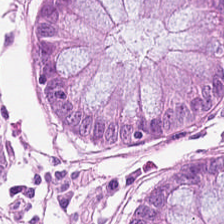{"tissue_type": "normal colonic mucosa"}
